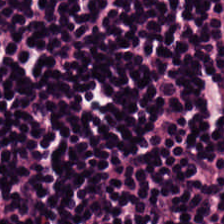20× equivalent magnification. H&E-stained tissue section. 224×224 px tile. This patch shows lymphocyte aggregate.
